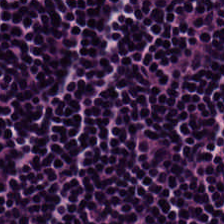Hematoxylin-and-eosin stained section. Predominant tissue — lymphocytes.
